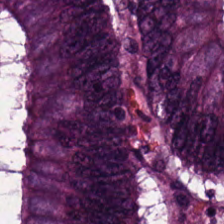Tissue class — adenocarcinoma.
